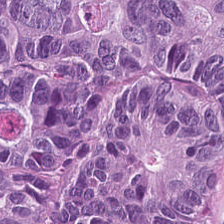Stain: H&E stain.
Acquisition: brightfield.
Predominant tissue: tumor epithelium.
